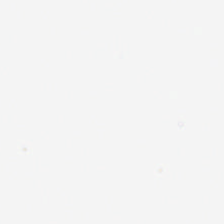Stain: hematoxylin and eosin.
Classification: background.
